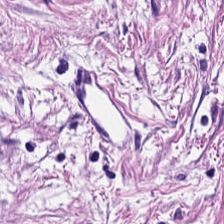Q: What is shown here?
A: It is tumor stroma.
